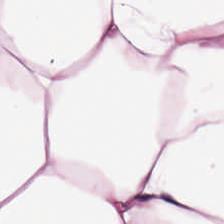Brightfield microscopy. H&E stain. 224×224 px tile — Impression → fat tissue.
